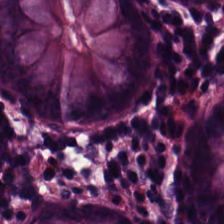Q: What tissue type is shown here?
A: It is normal colonic mucosa.
